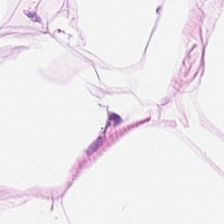H&E-stained tissue section. Predominantly adipose tissue.
